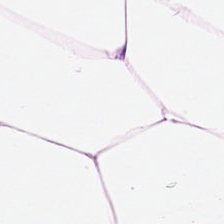0.5 µm/px · H&E.
Q: What is shown in this field?
A: It is fat tissue.
